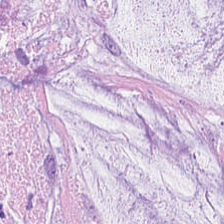Formalin-fixed paraffin-embedded section; 224×224 px tile; hematoxylin and eosin — Q: What tissue is shown?
A: The field shows mucus.
